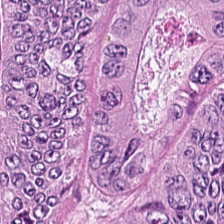Hematoxylin and eosin; WSI patch. {"tissue_type": "colorectal adenocarcinoma"}
